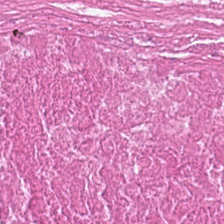Hematoxylin-and-eosin section: cellular debris.
